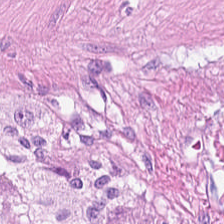Stain: hematoxylin and eosin.
Resolution: 0.5 microns per pixel.
Tissue: smooth muscle.
